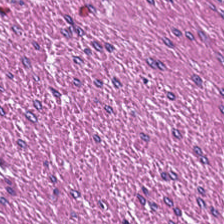Hematoxylin and eosin — Predominantly muscularis.
